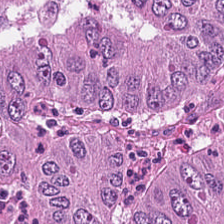Classification = colorectal adenocarcinoma.
